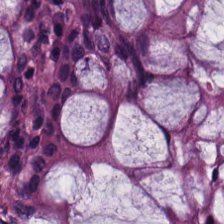Brightfield microscopy · 224×224 pixel tile · hematoxylin-and-eosin stained section.
Classification — normal colon mucosa.
